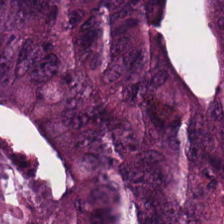Stain: hematoxylin-and-eosin stained section.
Tissue: colorectal adenocarcinoma.
